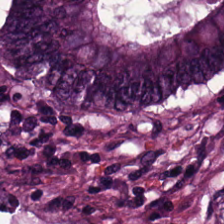Q: What tissue type is shown here?
A: This is tumor epithelium.
